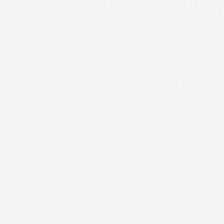Stain: H&E.
Content: no tissue.
